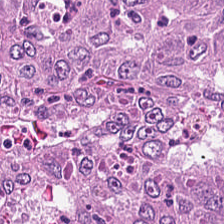Tissue type = colorectal adenocarcinoma.
